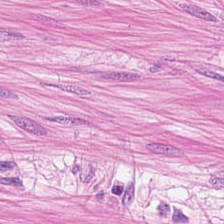Hematoxylin-and-eosin stained section — Tissue — smooth-muscle tissue.
